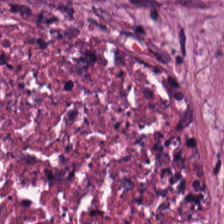0.5 µm/px · H&E-stained tissue section.
Predominantly debris.
